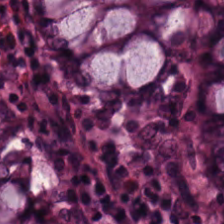Tissue type = non-neoplastic colon mucosa.
